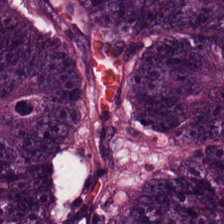20× equivalent magnification · H&E.
The tissue here is malignant epithelium.
